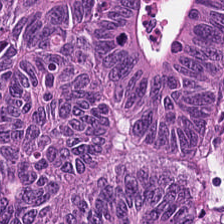H&E stain — This patch shows colorectal adenocarcinoma.
